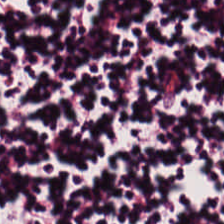Classification — lymphocytic infiltrate.
